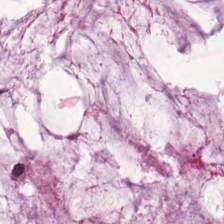224×224 px patch. H&E stain. Classification: mucus.
